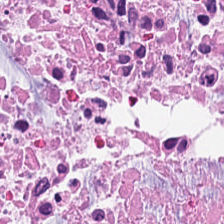H&E-stained tissue section. Finding → necrotic debris.
